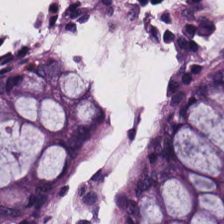H&E-stained tissue section. Tissue type = normal colonic mucosa.
